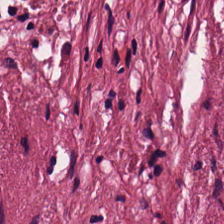H&E · FFPE tissue section — This field is desmoplastic stroma.
